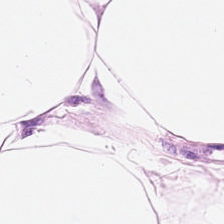Hematoxylin-and-eosin stained section — This patch shows adipocytes.
